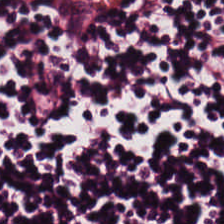WSI patch; H&E stain. Lymphocyte aggregate.
